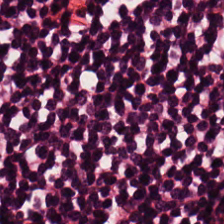224×224 px tile. Formalin-fixed paraffin-embedded section. Hematoxylin-and-eosin stained section — Predominantly lymphocyte aggregate.
